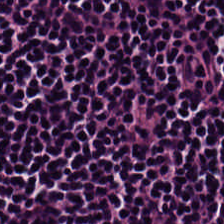H&E stain. 0.5 µm per pixel. 224×224 px tile. {"tissue_type": "lymphoid infiltrate"}
